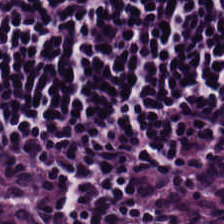H&E stain — The classification is lymphoid infiltrate.
